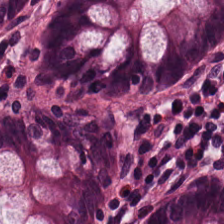H&E-stained tissue section.
Q: What type of tissue is this?
A: It is non-neoplastic colon mucosa.
